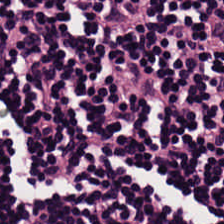The tissue here is lymphocytic infiltrate.
